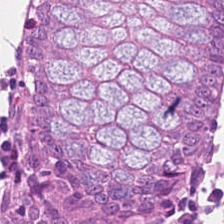Hematoxylin and eosin.
Finding → normal colon mucosa.
